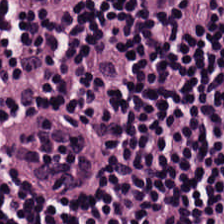224×224 px patch. H&E-stained tissue section. 0.5 µm per pixel — The tissue here is lymphocytes.
